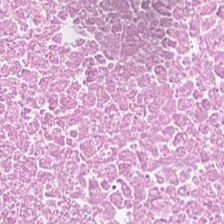224×224 pixel tile. H&E stain. Predominant tissue — cellular debris.
